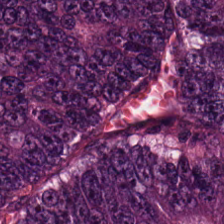Brightfield; H&E stain.
Colorectal adenocarcinoma epithelium.
